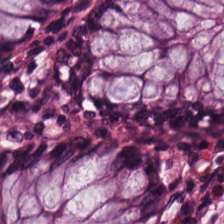H&E-stained tissue section — Q: What tissue type is shown here?
A: The field shows normal colon mucosa.
